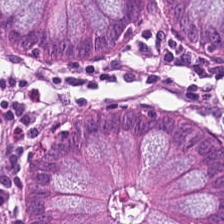H&E stain.
Tissue type: normal colonic mucosa.
